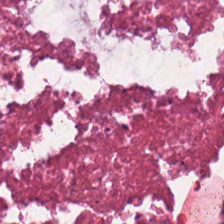Q: Identify the tissue.
A: Necrotic debris.
